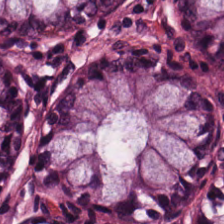20× equivalent magnification · 224×224 px tile · H&E-stained tissue section. This field is benign colonic mucosa.
